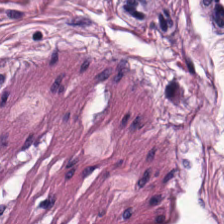Hematoxylin-and-eosin stained section.
Tissue class — smooth-muscle tissue.
